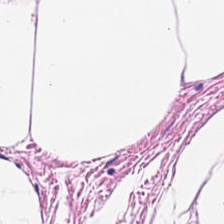H&E; 0.5 microns per pixel.
Adipose tissue.
